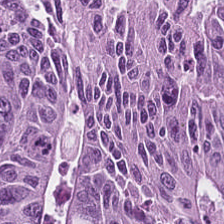H&E stain; whole-slide-image patch; 20× equivalent magnification. This field is colorectal adenocarcinoma epithelium.
